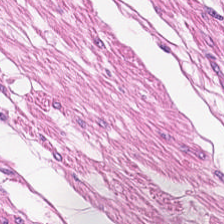Impression → smooth-muscle tissue.
